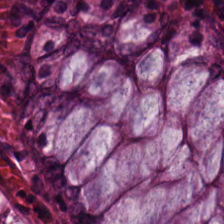The tissue type is non-neoplastic colon mucosa.
